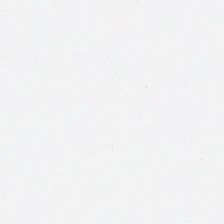Hematoxylin-and-eosin stained section — Background — no tissue in this field.
